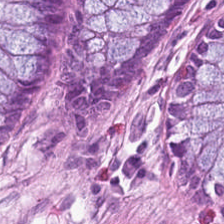H&E · FFPE tissue section. The predominant tissue is benign colonic mucosa.
